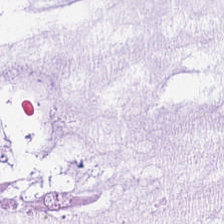Stain: H&E-stained tissue section.
Resolution: 0.5 microns per pixel.
Acquisition: brightfield microscopy.
Tissue type: mucin.
